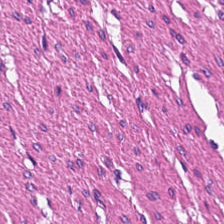This patch shows smooth muscle.
